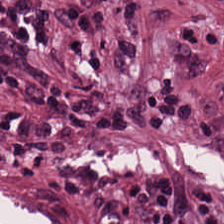Brightfield microscopy; hematoxylin and eosin — Predominantly tumor-associated stroma.
